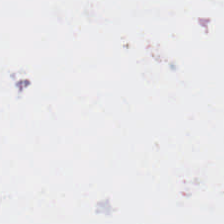Hematoxylin-and-eosin stained section. FFPE tissue section — This patch shows background.
